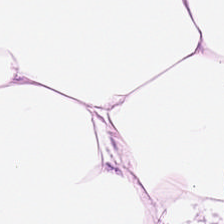Hematoxylin-and-eosin stained section.
Adipocytes.
